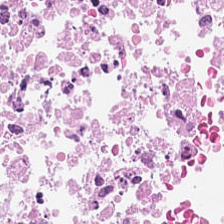224×224 px tile; H&E-stained tissue section — Predominantly cellular debris.
